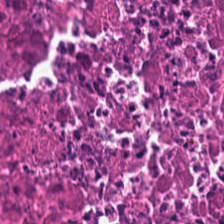Tissue class: debris.
